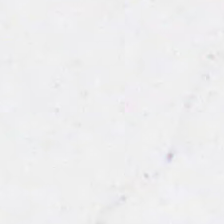H&E stain — Content — background.
